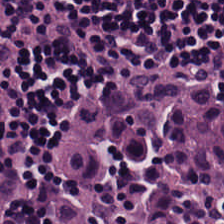Hematoxylin and eosin. WSI patch. Formalin-fixed paraffin-embedded section.
The tissue here is lymphoid infiltrate.
